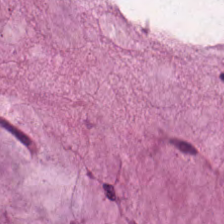Hematoxylin-and-eosin stained section — Tissue — mucin.
